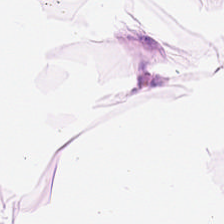H&E-stained tissue section showing adipocytes.
